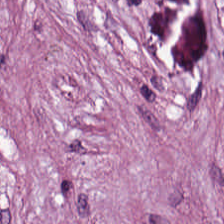Hematoxylin and eosin. Tissue type — tumor-associated stroma.
